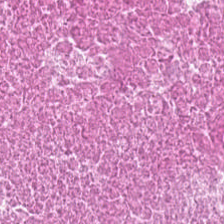Brightfield · H&E · 224×224 pixel tile. Predominantly necrotic debris.
